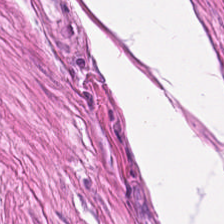Hematoxylin and eosin. Brightfield. Formalin-fixed paraffin-embedded section — Q: What type of tissue is this?
A: This is muscularis.
